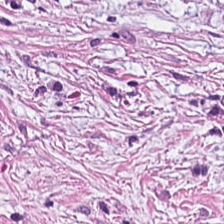Hematoxylin-and-eosin stained section.
Tissue type: tumor stroma.
